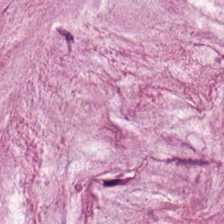Q: What tissue type is shown here?
A: Extracellular mucin.
